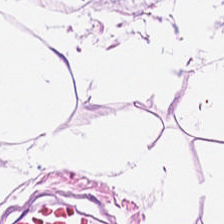H&E-stained tissue section · 0.5 µm per pixel. Tissue type = adipocytes.
